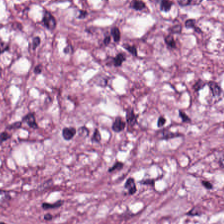Hematoxylin and eosin — Q: What tissue type is shown here?
A: It is desmoplastic stroma.
